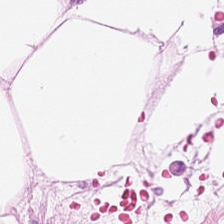Hematoxylin-and-eosin stained section. Brightfield microscopy — Q: Identify the tissue.
A: Fat tissue.
